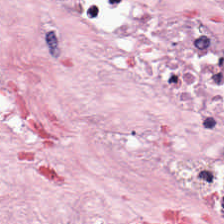H&E. The predominant tissue is cancer-associated stroma.
